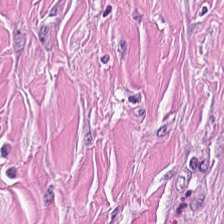H&E-stained tissue section showing cancer-associated stroma.
